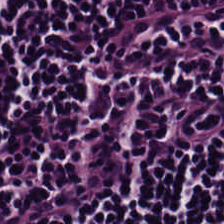Hematoxylin and eosin. Q: What is shown here?
A: It is lymphoid infiltrate.
